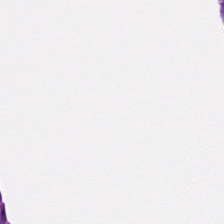Hematoxylin-and-eosin stained section · brightfield. The tissue here is muscularis.
